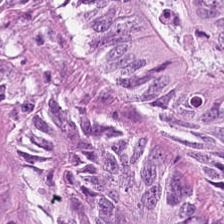Stain: H&E stain.
Classification: malignant epithelium.
